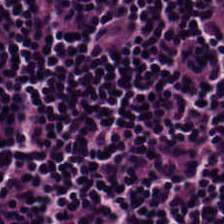Stain: H&E.
Predominant tissue: lymphoid infiltrate.
